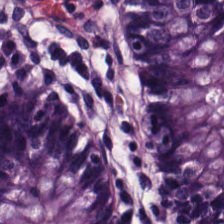FFPE tissue section · 0.5 microns per pixel · hematoxylin-and-eosin stained section.
Predominant tissue: benign colonic mucosa.
